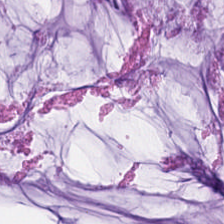Hematoxylin and eosin — Predominant tissue = extracellular mucin.
